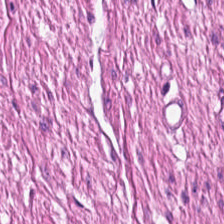H&E. Tissue = smooth muscle.
